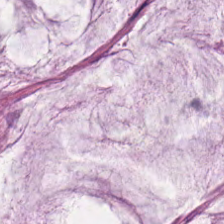Hematoxylin-and-eosin stained section · 0.5 µm per pixel. Predominantly mucus.
